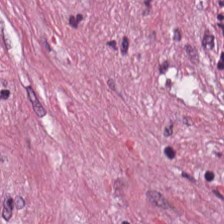Hematoxylin and eosin.
This patch shows desmoplastic stroma.
